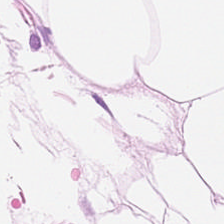H&E. Tissue type: adipose.
